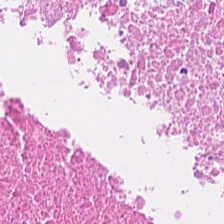Brightfield microscopy. Hematoxylin-and-eosin stained section — Q: What tissue type is shown here?
A: It is necrotic debris.
